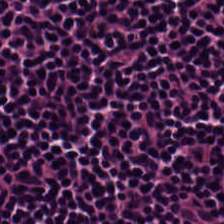H&E · 0.5 microns per pixel · 224×224 px tile — Showing lymphocytic infiltrate.
